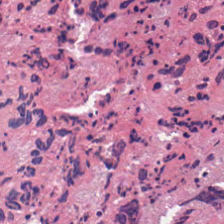Tissue type: necrotic debris.
